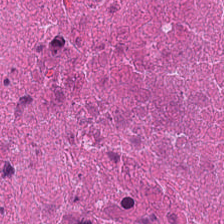H&E.
Debris.
